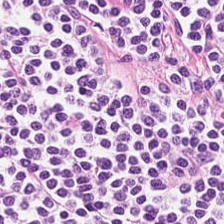20× equivalent magnification · brightfield · H&E stain. Q: Identify the tissue.
A: Lymphocytic infiltrate.
